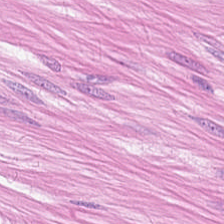{"tissue_type": "smooth-muscle tissue"}
